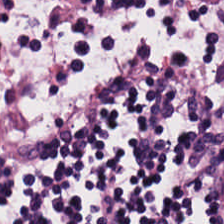H&E-stained tissue section. Predominantly lymphoid infiltrate.
